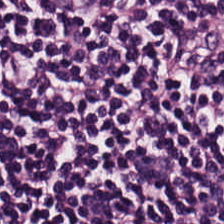H&E stain · 0.5 microns per pixel — Lymphoid infiltrate.
